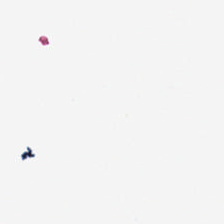H&E. No tissue present; background only.
